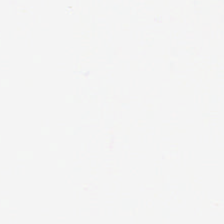H&E-stained tissue section.
Impression → empty background.
